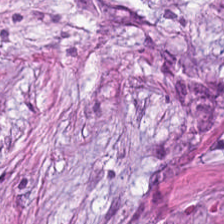Hematoxylin-and-eosin stained section. Q: Classify this patch.
A: It is desmoplastic stroma.
